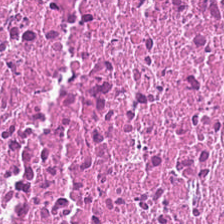Stain: hematoxylin and eosin.
Tissue type: debris.
